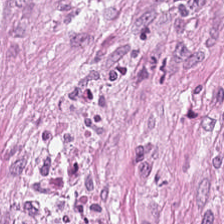H&E. Predominantly cancer-associated stroma.
